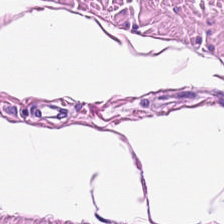Hematoxylin and eosin. Impression → smooth muscle.
